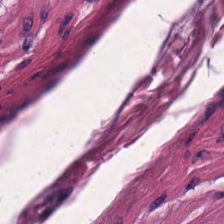Finding — smooth muscle.
